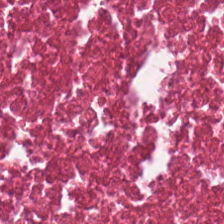0.5 microns per pixel · hematoxylin and eosin.
Necrotic debris.
